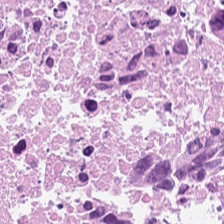224×224 px tile. Whole-slide-image patch. H&E. This patch shows necrotic debris.
